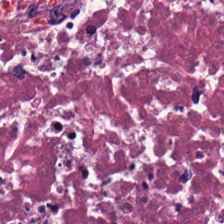224×224 px tile · H&E-stained tissue section — Q: What is the predominant tissue type?
A: It is cellular debris.
